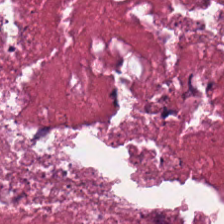H&E-stained tissue section — Impression → cellular debris.
